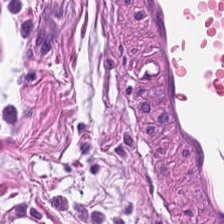224×224 pixel tile · H&E-stained tissue section — Tissue type: muscularis.
